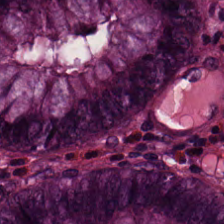{"tissue_type": "normal colonic mucosa"}
